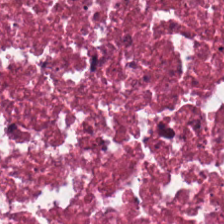Formalin-fixed paraffin-embedded section; H&E stain — The tissue here is cellular debris.
